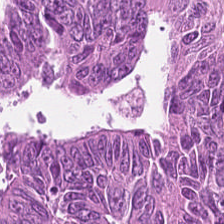H&E — tumor epithelium.
